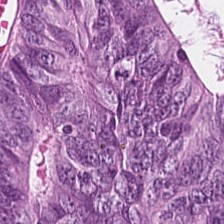224×224 pixel tile. H&E. 0.5 µm/px.
Adenocarcinoma.
